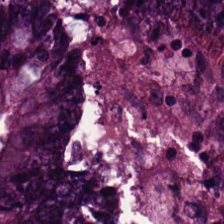The predominant tissue is tumor epithelium.
